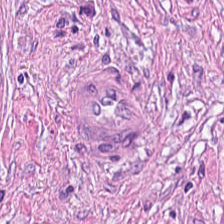H&E-stained tissue section — This field is tumor-associated stroma.
